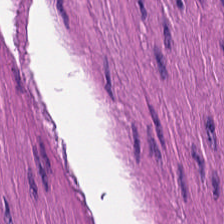Hematoxylin-and-eosin stained section; formalin-fixed paraffin-embedded section — Predominantly smooth-muscle tissue.
